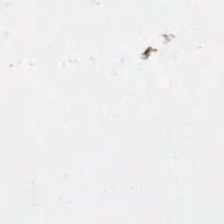H&E-stained tissue section. 224×224 px tile. No tissue present; background only.
